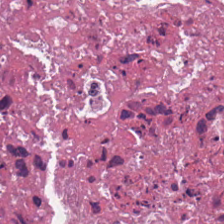H&E-stained tissue section. Q: Classify this patch.
A: The field shows necrotic debris.
